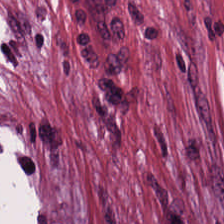Stain: H&E stain.
Preparation: FFPE.
Tissue: tumor-associated stroma.
